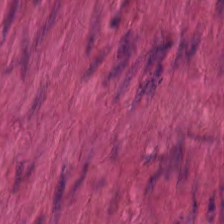Stain: H&E.
Tile size: 224×224 px patch.
Tissue class: smooth muscle.
